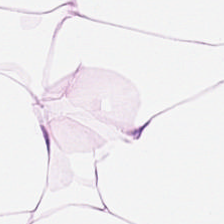Hematoxylin and eosin — The predominant tissue is adipocytes.
